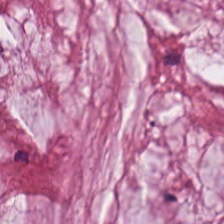Brightfield. H&E.
{"tissue_type": "mucin"}
